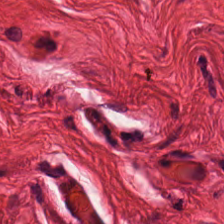FFPE. 20× equivalent magnification. H&E.
Predominant tissue: smooth-muscle tissue.
